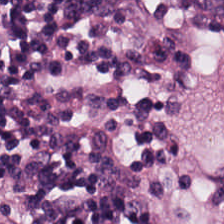H&E stain — Tissue — lymphocytic infiltrate.
